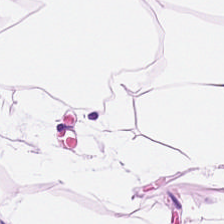Fat tissue.
